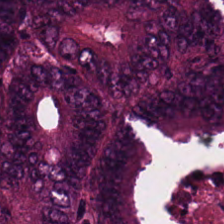Hematoxylin-and-eosin stained section.
The tissue here is colorectal adenocarcinoma epithelium.
